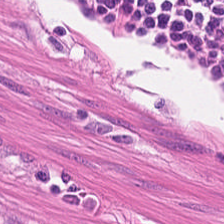Predominantly smooth-muscle tissue.
